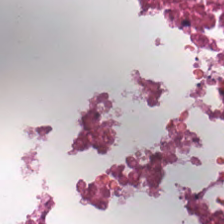Formalin-fixed paraffin-embedded section · brightfield · H&E. This field is debris.
